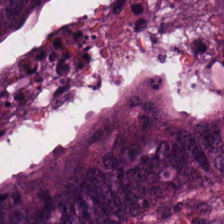H&E — Q: What type of tissue is this?
A: Colorectal adenocarcinoma epithelium.
